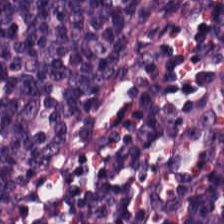H&E.
This field is lymphocytic infiltrate.
